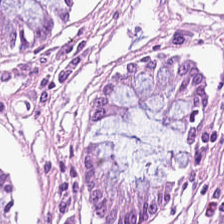The predominant tissue is normal colon mucosa.
